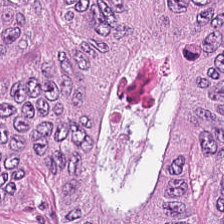Hematoxylin and eosin · FFPE tissue section. This field is colorectal adenocarcinoma.
